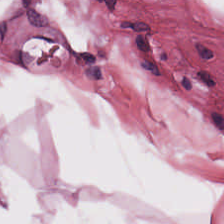Hematoxylin-and-eosin stained section. Q: What type of tissue is this?
A: It is adipose tissue.
